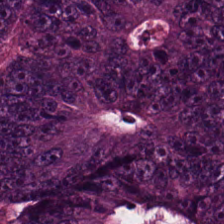H&E stain.
Predominant tissue = adenocarcinoma.
